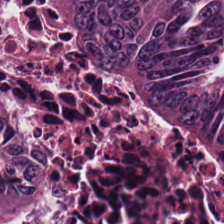Predominant tissue — adenocarcinoma.
